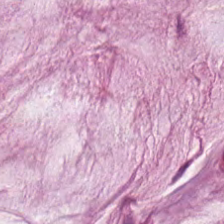H&E-stained tissue section.
The tissue here is mucin.
